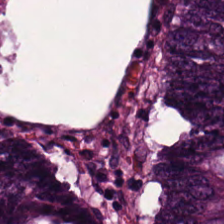H&E. Q: What is the predominant tissue type?
A: It is adenocarcinoma.
